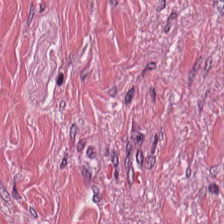Hematoxylin and eosin · FFPE. The tissue here is tumor-associated stroma.
